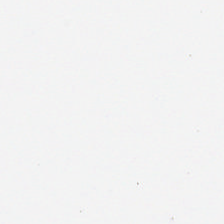Content: background.
